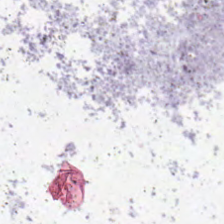Hematoxylin-and-eosin stained section — Q: Classify this patch.
A: It is empty background.
